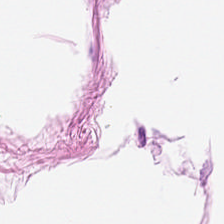Brightfield microscopy. Hematoxylin-and-eosin stained section. 224×224 px patch — Q: What tissue type is shown here?
A: This is adipose tissue.
